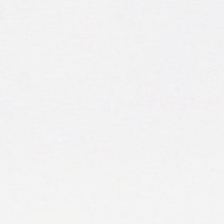Finding → background.
